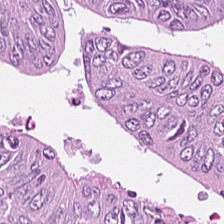Hematoxylin and eosin — This patch shows colorectal adenocarcinoma.
